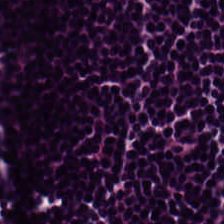0.5 microns per pixel; H&E-stained tissue section; 224×224 px tile — The tissue class is lymphocyte aggregate.
